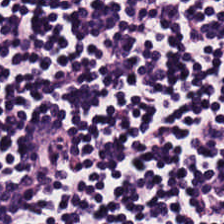H&E-stained tissue section.
Q: What is the predominant tissue type?
A: This is lymphoid infiltrate.
